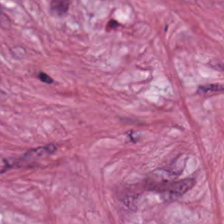Stain: H&E-stained tissue section.
Preparation: formalin-fixed paraffin-embedded section.
Tile size: 224×224 pixel tile.
Tissue: tumor stroma.
